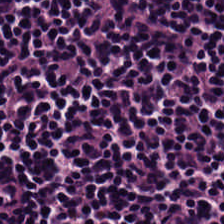0.5 microns per pixel · H&E stain — Tissue class: lymphocyte aggregate.
